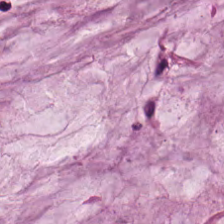Q: What is shown here?
A: It is mucus.
